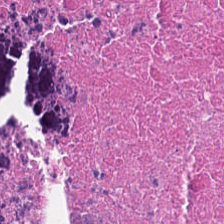H&E stain.
The tissue here is necrotic debris.
